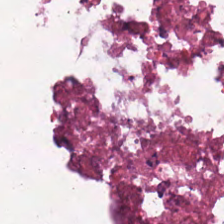The predominant tissue is cellular debris.
